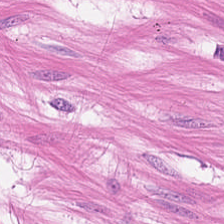Impression → smooth muscle.
